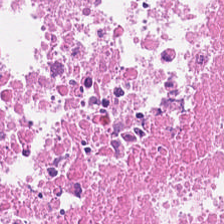FFPE tissue section; hematoxylin-and-eosin stained section; 224×224 pixel tile.
Histology — necrotic debris.
